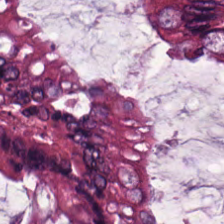Stain: H&E.
Acquisition: whole-slide-image patch.
Tissue type: normal colon mucosa.
